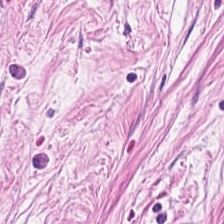H&E.
Q: What type of tissue is this?
A: The field shows tumor-associated stroma.
